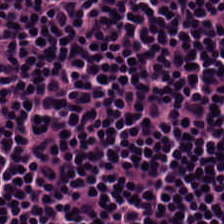H&E — Finding → lymphocytes.
